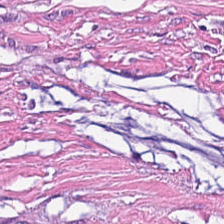Q: What type of tissue is this?
A: Desmoplastic stroma.
